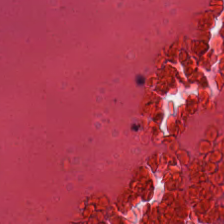Hematoxylin-and-eosin stained section — {"tissue_type": "debris"}
